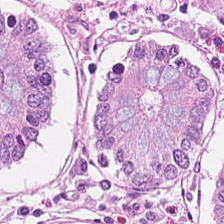H&E · 224×224 px patch · brightfield.
Q: Identify the tissue.
A: It is normal colonic mucosa.
